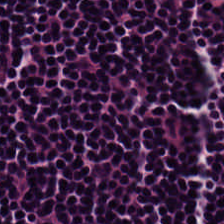Hematoxylin and eosin.
Tissue = lymphocytes.
